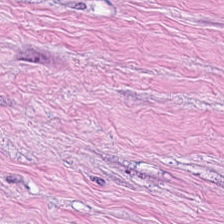0.5 microns per pixel. FFPE. H&E — Predominantly tumor-associated stroma.
